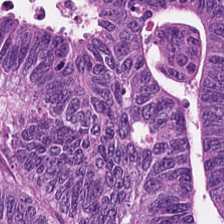0.5 µm/px. Hematoxylin-and-eosin stained section. Histology → colorectal adenocarcinoma.
